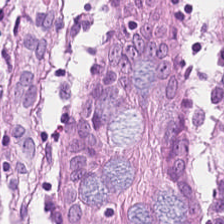Hematoxylin and eosin; 0.5 microns per pixel; formalin-fixed paraffin-embedded section. Q: What does this patch show?
A: It is non-neoplastic colon mucosa.
